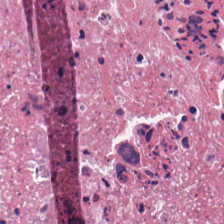H&E stain.
{"tissue_type": "necrotic debris"}
